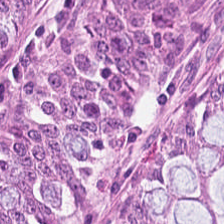0.5 µm/px; hematoxylin and eosin; WSI patch — Q: What is shown here?
A: This is normal colon mucosa.
